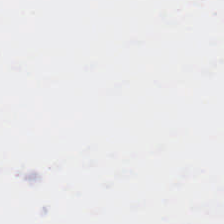Field content = background (no tissue).
